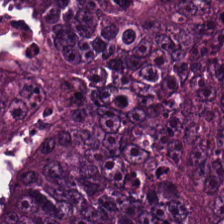Stain: H&E.
Tissue class: colorectal adenocarcinoma.
